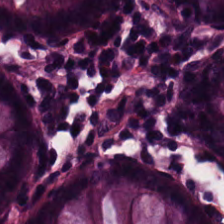H&E stain. FFPE. 224×224 px patch — Impression — normal colonic mucosa.
